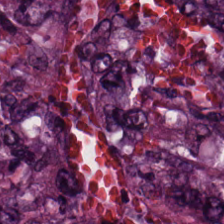The tissue is colorectal adenocarcinoma epithelium.
